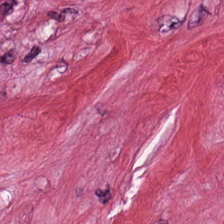Tumor-associated stroma.
